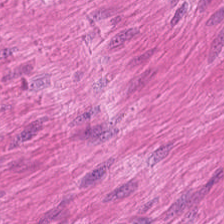Stain: hematoxylin and eosin.
Predominant tissue: smooth-muscle tissue.
